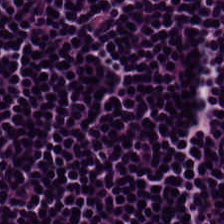H&E-stained tissue section.
Impression — lymphocytic infiltrate.
